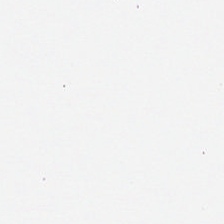Hematoxylin and eosin.
Background.
